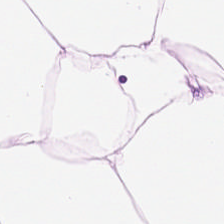224×224 px tile; H&E stain — The tissue type is adipose.
